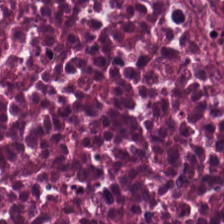Hematoxylin and eosin. 224×224 px tile. Formalin-fixed paraffin-embedded section.
This patch shows necrotic debris.
